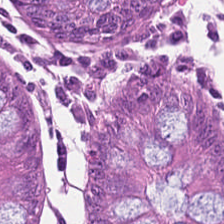Stain: H&E.
Tissue type: normal colon mucosa.
